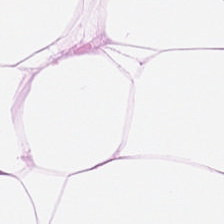224×224 pixel tile · H&E stain.
Predominantly adipocytes.
